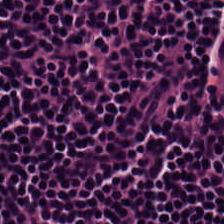Q: What type of tissue is this?
A: This is lymphocytic infiltrate.
